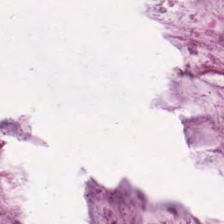Tissue = mucin.
